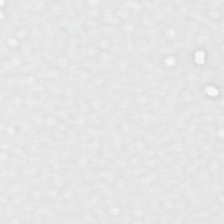H&E; brightfield microscopy; 20× equivalent magnification.
This field is background (no tissue).
